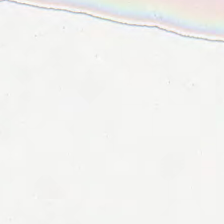Hematoxylin-and-eosin stained section.
No tissue.
